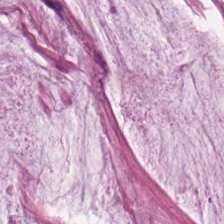Stain: hematoxylin-and-eosin stained section.
Tissue type: extracellular mucin.
